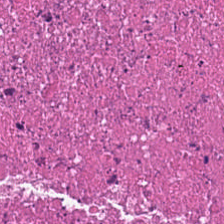Hematoxylin and eosin. 224×224 pixel tile. The classification is necrotic debris.
